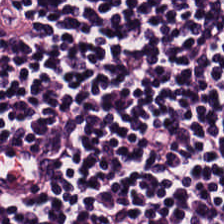0.5 microns per pixel · H&E-stained tissue section — This patch shows lymphocytic infiltrate.
